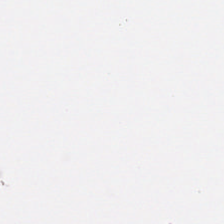H&E.
No tissue present; background only.
